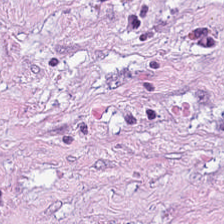Stain: hematoxylin-and-eosin stained section.
Predominant tissue: desmoplastic stroma.
